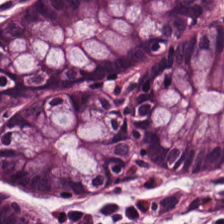WSI patch; H&E stain — Q: What is the predominant tissue type?
A: Normal colonic mucosa.
